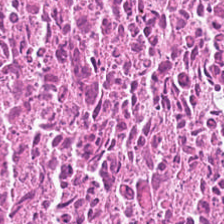H&E stain.
Q: What is the predominant tissue type?
A: Cellular debris.
